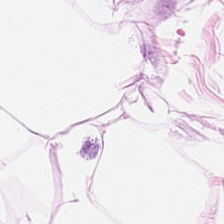Hematoxylin and eosin. 20× equivalent magnification. 224×224 pixel tile. Classification — adipocytes.
